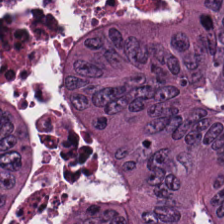The tissue here is tumor epithelium.
